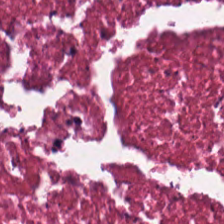H&E-stained section; the field shows cellular debris.
